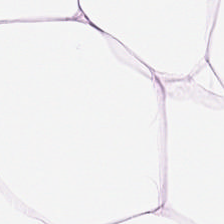H&E stain. WSI patch. 20× equivalent magnification. Tissue — fat tissue.
